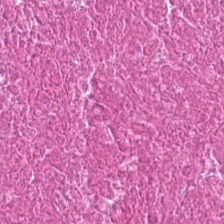Tissue class: cellular debris.
